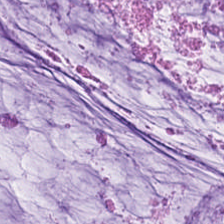Hematoxylin and eosin — Predominant tissue — extracellular mucin.
